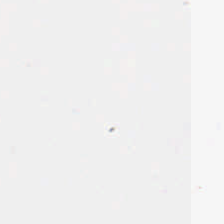Field content: no tissue.
